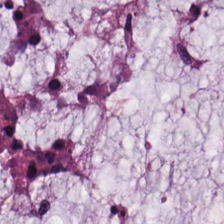224×224 px patch. 20× equivalent magnification. Hematoxylin-and-eosin stained section.
The tissue here is extracellular mucin.
